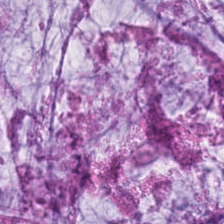Hematoxylin and eosin · brightfield microscopy · 0.5 µm/px — Histology — mucin.
